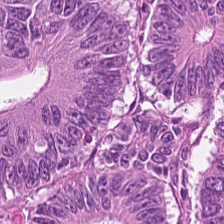The tissue here is tumor epithelium.
